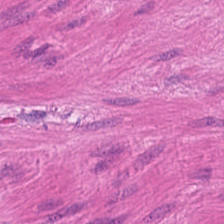Q: Classify this patch.
A: Muscularis.
